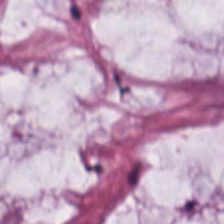WSI patch. 0.5 µm/px. H&E-stained tissue section. This patch shows mucin.
